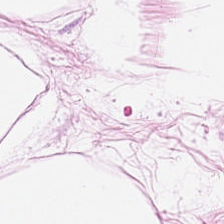Hematoxylin-and-eosin stained section.
Q: What tissue is shown?
A: It is adipocytes.
